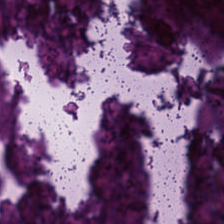H&E · 224×224 pixel tile. This patch shows debris.
